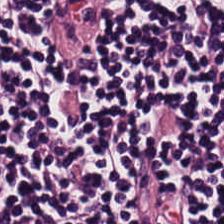Stain: H&E.
Tissue: lymphocyte aggregate.
